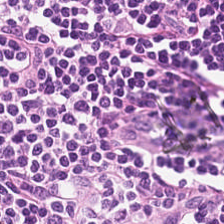The tissue type is lymphocyte aggregate.
